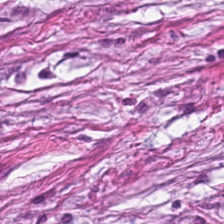WSI patch · hematoxylin-and-eosin stained section. The predominant tissue is tumor-associated stroma.
